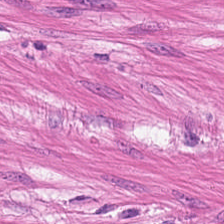Stain: H&E-stained tissue section.
Tissue type: smooth muscle.
